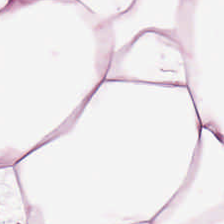Hematoxylin-and-eosin stained section.
Q: Identify the tissue.
A: It is adipose tissue.
